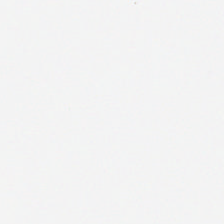Stain: H&E-stained tissue section.
Preparation: FFPE.
Resolution: 0.5 microns per pixel.
Field content: background (no tissue).
